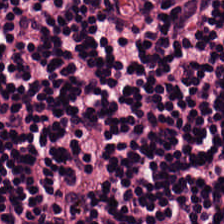H&E — lymphocyte aggregate.
